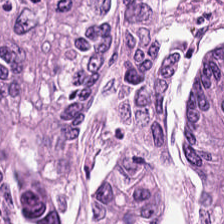H&E; 224×224 pixel tile.
The tissue here is malignant epithelium.
